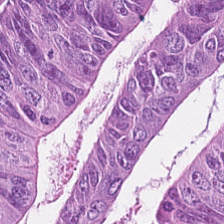Stain: hematoxylin-and-eosin stained section.
Tile size: 224×224 px patch.
Classification: colorectal adenocarcinoma.
